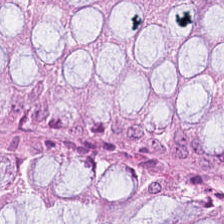Hematoxylin-and-eosin stained section.
The predominant tissue is benign colonic mucosa.
